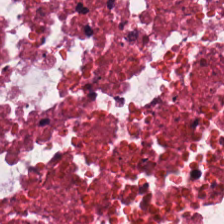This field is debris.
